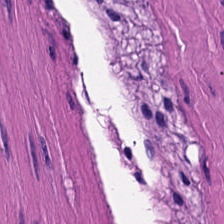Stain: hematoxylin-and-eosin stained section.
Resolution: 0.5 microns per pixel.
Tile size: 224×224 px patch.
Tissue: smooth muscle.
